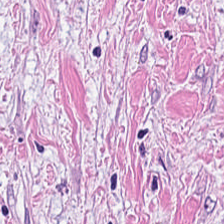H&E; 0.5 µm per pixel. Predominantly tumor stroma.
